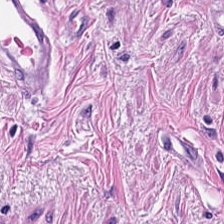H&E stain. {"tissue_type": "smooth muscle"}
